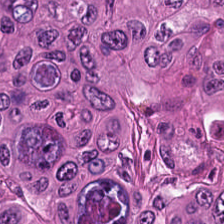Formalin-fixed paraffin-embedded section. H&E. Brightfield.
Q: What is shown here?
A: It is malignant epithelium.
